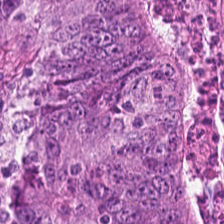Hematoxylin and eosin. Q: What type of tissue is this?
A: The field shows adenocarcinoma.
